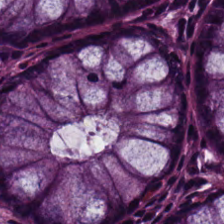224×224 pixel tile; H&E-stained tissue section; brightfield. Showing normal colon mucosa.
